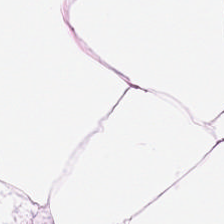H&E stain. 224×224 pixel tile.
This patch shows fat tissue.
